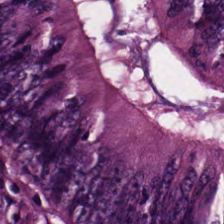Classification: adenocarcinoma.
